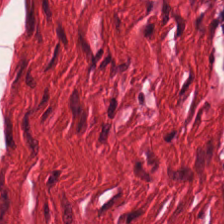H&E stain — Finding → muscularis.
